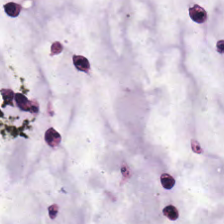Q: Classify this patch.
A: Mucin.
